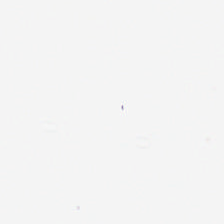Hematoxylin and eosin; 224×224 pixel tile; 0.5 µm per pixel. Finding → no tissue.
